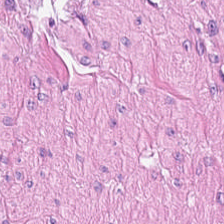Hematoxylin and eosin; 0.5 µm/px; 224×224 pixel tile — {"tissue_type": "smooth-muscle tissue"}
